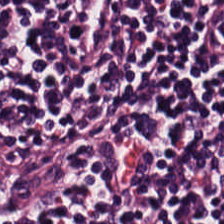Hematoxylin-and-eosin stained section. The predominant tissue is lymphocytes.
